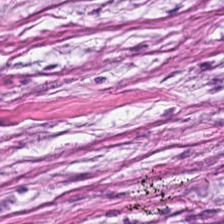Predominantly tumor stroma.
